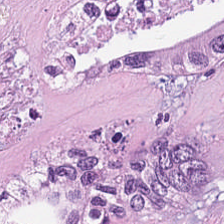224×224 pixel tile; H&E.
Q: Identify the tissue.
A: It is debris.
